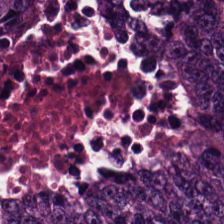Hematoxylin and eosin. Q: What is shown here?
A: This is malignant epithelium.
